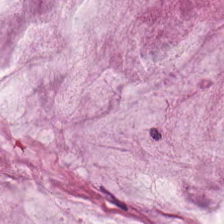Formalin-fixed paraffin-embedded section · hematoxylin-and-eosin stained section · 0.5 µm/px.
Predominant tissue — mucin.
